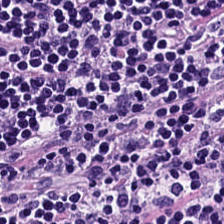224×224 px tile. H&E-stained tissue section — The tissue here is lymphocytic infiltrate.
